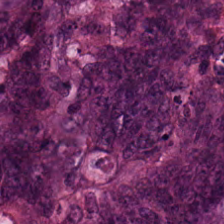0.5 microns per pixel · H&E-stained tissue section · 224×224 pixel tile — Showing colorectal adenocarcinoma epithelium.
